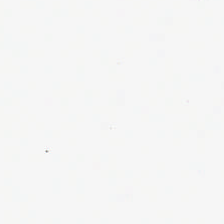H&E stain — No tissue present; background only.
